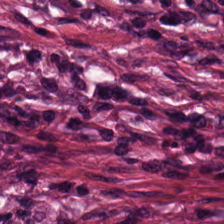Brightfield microscopy; H&E — Predominantly desmoplastic stroma.
